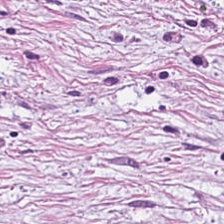H&E. 224×224 pixel tile. 0.5 µm per pixel.
Impression — tumor-associated stroma.
